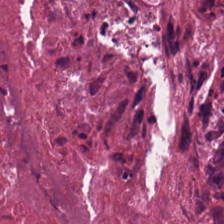FFPE; hematoxylin-and-eosin stained section — Q: What is shown here?
A: The field shows cellular debris.
